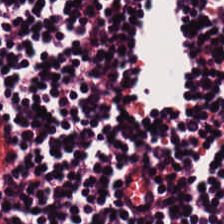Brightfield · H&E — Q: What is shown in this field?
A: It is lymphoid infiltrate.
